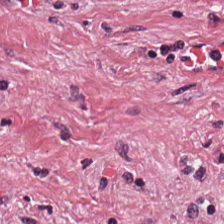Hematoxylin and eosin.
Impression — desmoplastic stroma.
